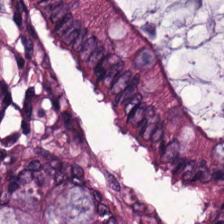H&E-stained tissue section — Q: What does this patch show?
A: Non-neoplastic colon mucosa.
